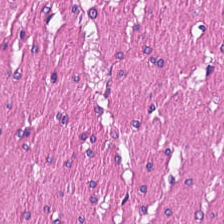Hematoxylin-and-eosin stained section — Q: What does this patch show?
A: It is muscularis.
